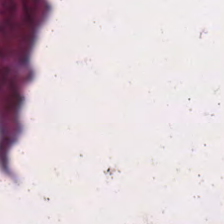Stain: H&E.
Acquisition: brightfield.
Tile size: 224×224 pixel tile.
Tissue class: necrotic debris.
